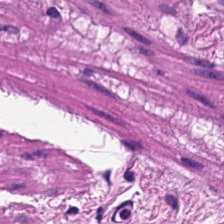224×224 px tile · hematoxylin and eosin. The classification is muscularis.
